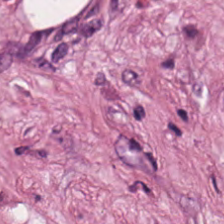Hematoxylin and eosin. Formalin-fixed paraffin-embedded section.
Q: Identify the tissue.
A: This is cancer-associated stroma.
